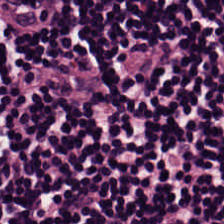This patch shows lymphoid infiltrate.
